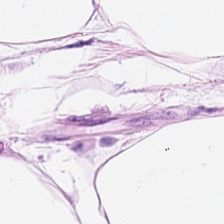H&E stain.
Tissue type — adipose.
